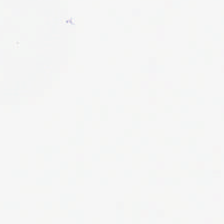H&E stain. 224×224 pixel tile. FFPE.
The content is no tissue.
